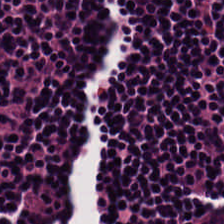Hematoxylin and eosin; FFPE; brightfield microscopy. This patch shows lymphoid infiltrate.
